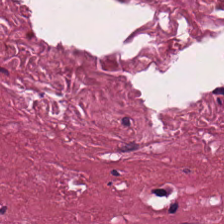0.5 µm per pixel. Hematoxylin and eosin.
This patch shows tumor-associated stroma.
